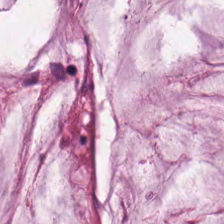Brightfield microscopy; hematoxylin and eosin.
Showing mucin.
